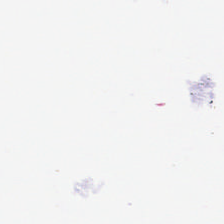Q: Classify this patch.
A: The field shows no tissue.
